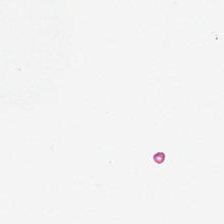Impression — background (no tissue).
